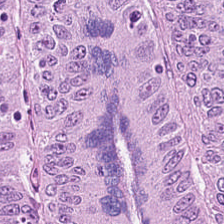H&E stain — Impression → colorectal adenocarcinoma epithelium.
